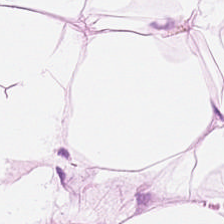Hematoxylin-and-eosin stained section — Q: What is shown in this field?
A: It is fat tissue.
